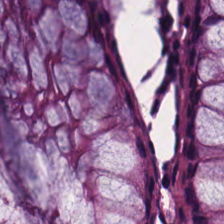This patch shows normal colonic mucosa.
